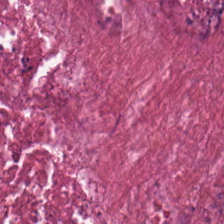H&E stain — Q: What does this patch show?
A: This is necrotic debris.
